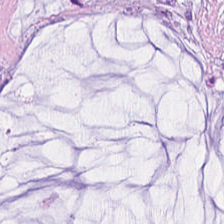The tissue class is mucus.
